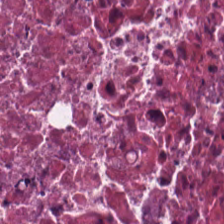Whole-slide-image patch. Hematoxylin-and-eosin stained section. Q: What is the predominant tissue type?
A: This is debris.
